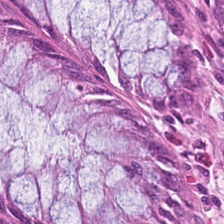Hematoxylin and eosin. Tissue type — normal colon mucosa.
